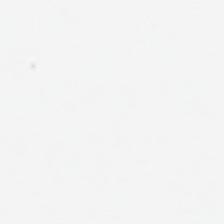H&E — This patch shows no tissue.
